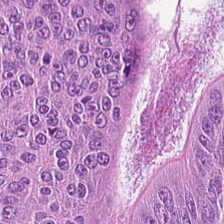H&E-stained tissue section. 224×224 pixel tile — The predominant tissue is tumor epithelium.
